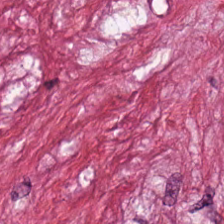Hematoxylin-and-eosin stained section — This patch shows cancer-associated stroma.
